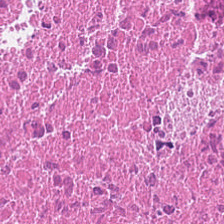H&E-stained tissue section. Brightfield microscopy. 0.5 µm per pixel.
Predominantly necrotic debris.
